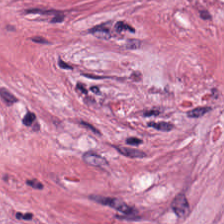Tissue class — cancer-associated stroma.
